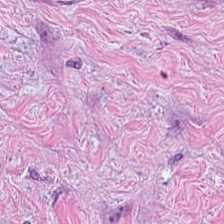This patch shows tumor stroma.
